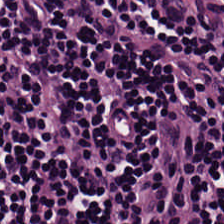Tissue type: lymphocytes.
